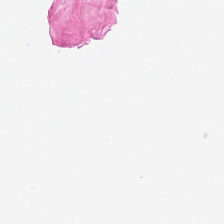H&E stain · 224×224 px patch. Background — no tissue in this field.
